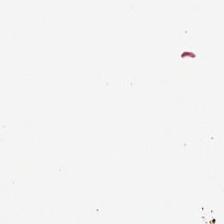H&E stain. Formalin-fixed paraffin-embedded section. Histology — empty background.
